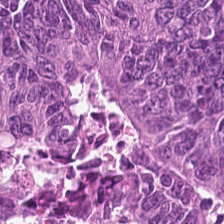Stain: H&E.
Preparation: FFPE.
Tissue type: colorectal adenocarcinoma epithelium.
